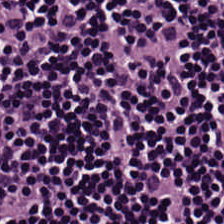224×224 px tile · formalin-fixed paraffin-embedded section · hematoxylin-and-eosin stained section.
Finding → lymphocytic infiltrate.
